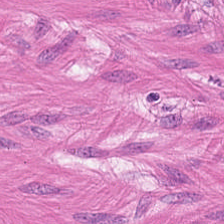H&E-stained tissue section. Tissue = muscularis.
